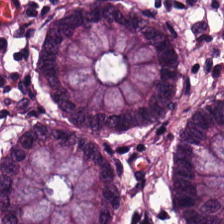Hematoxylin-and-eosin stained section. FFPE. Showing normal colon mucosa.
